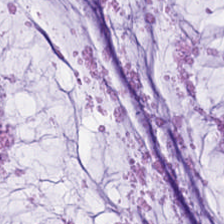Hematoxylin and eosin.
Tissue type — mucin.
